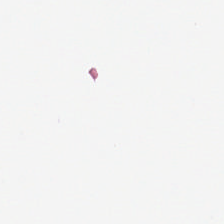Q: What is shown here?
A: This is background (no tissue).
